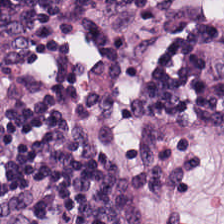H&E stain.
Finding → lymphocyte aggregate.
